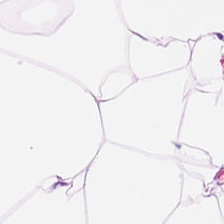Hematoxylin and eosin. {"tissue_type": "adipose"}
